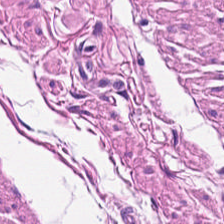Brightfield microscopy. Formalin-fixed paraffin-embedded section. H&E — This patch shows smooth muscle.
